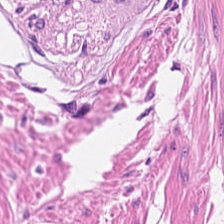H&E-stained tissue section — Tissue class = muscularis.
